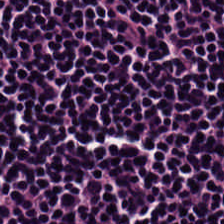Hematoxylin and eosin.
Finding — lymphocyte aggregate.
